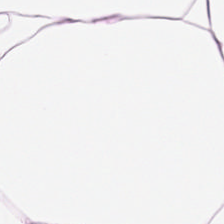H&E. 224×224 pixel tile.
Q: Classify this patch.
A: The field shows fat tissue.
